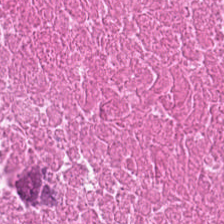Tissue type = debris.
